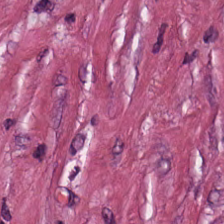Hematoxylin and eosin. Q: What is shown here?
A: Tumor-associated stroma.
